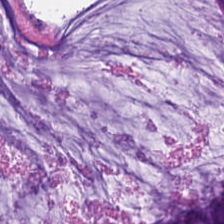Hematoxylin-and-eosin stained section.
This patch shows extracellular mucin.
